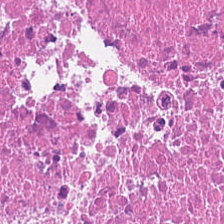Q: What is shown here?
A: This is necrotic debris.
